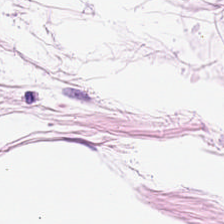Stain: hematoxylin and eosin.
Classification: adipocytes.
